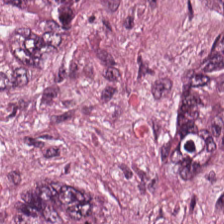Hematoxylin and eosin.
Tissue = colorectal adenocarcinoma.
